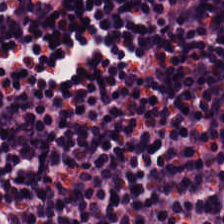FFPE tissue section · H&E-stained tissue section.
Q: What type of tissue is this?
A: The field shows lymphocytes.
